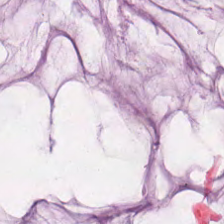H&E-stained tissue section.
Showing mucus.
